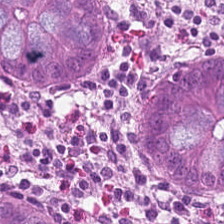H&E stain. 0.5 µm/px.
Predominant tissue — normal colon mucosa.
